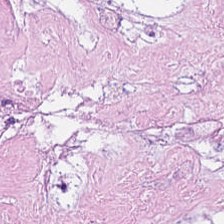Q: What is shown here?
A: It is cellular debris.
